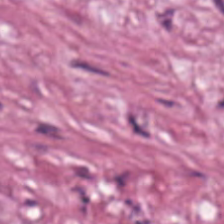Q: What is shown in this field?
A: The field shows cancer-associated stroma.
